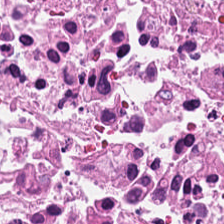224×224 px tile. H&E. FFPE tissue section — Showing necrotic debris.
